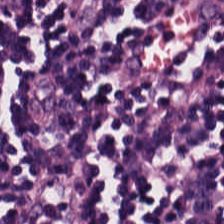Stain: hematoxylin and eosin.
Tissue class: lymphocytes.
